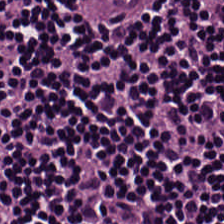H&E stain — Q: What is the predominant tissue type?
A: It is lymphoid infiltrate.
